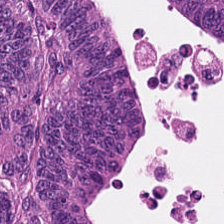FFPE tissue section. Hematoxylin and eosin — Q: What does this patch show?
A: It is colorectal adenocarcinoma epithelium.
